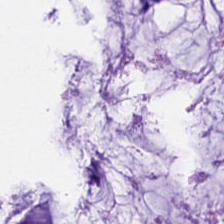H&E.
Tissue class: mucin.
